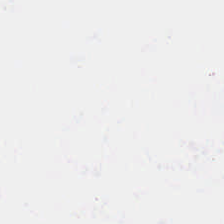Q: What is shown in this field?
A: The field shows background (no tissue).
